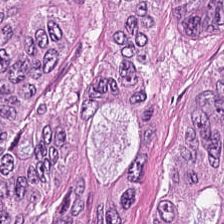Hematoxylin-and-eosin section: colorectal adenocarcinoma epithelium.
